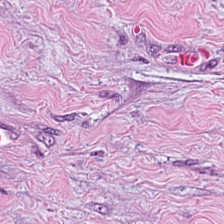Hematoxylin and eosin.
Predominantly cancer-associated stroma.
